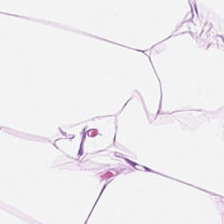H&E.
Tissue class — adipose.
